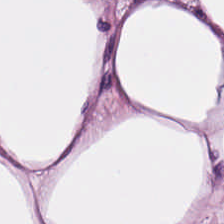H&E stain. {"tissue_type": "adipose tissue"}
